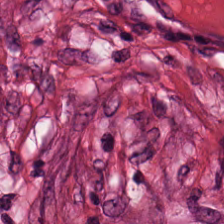Stain: H&E-stained tissue section.
Acquisition: brightfield microscopy.
Classification: cancer-associated stroma.
